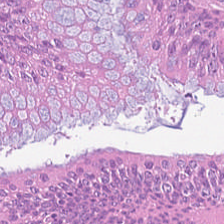H&E-stained tissue section. The predominant tissue is colorectal adenocarcinoma epithelium.
